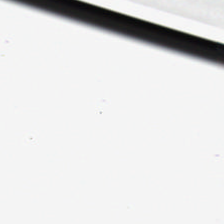Stain: H&E stain.
Field content: background.
